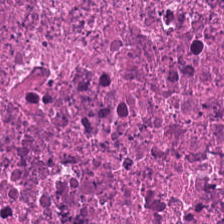Hematoxylin-and-eosin stained section. Whole-slide-image patch — The tissue here is cellular debris.
